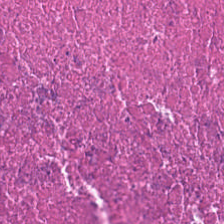H&E-stained section; the field shows necrotic debris.
